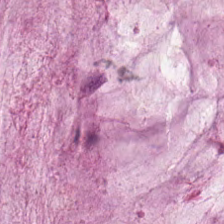H&E patch showing extracellular mucin.
